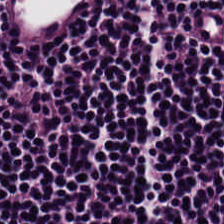H&E. Showing lymphocyte aggregate.
